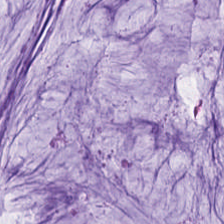FFPE tissue section · hematoxylin-and-eosin stained section.
Q: What is shown in this field?
A: Mucin.
